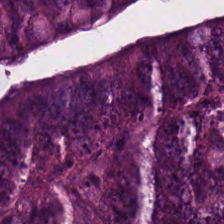Stain: H&E-stained tissue section.
Tissue type: tumor epithelium.
